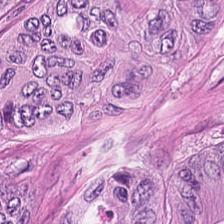Stain: hematoxylin and eosin.
Tissue class: tumor epithelium.
